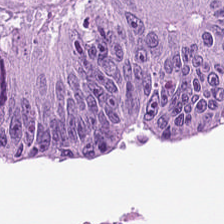H&E; 0.5 microns per pixel.
The predominant tissue is adenocarcinoma.
